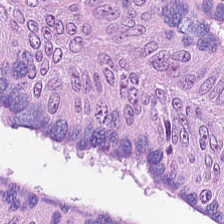H&E stain; 224×224 px tile.
Q: What is shown here?
A: This is adenocarcinoma.
